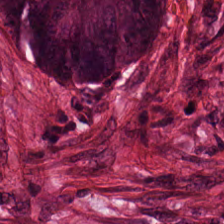H&E-stained tissue section · 20× equivalent magnification · WSI patch. Q: Classify this patch.
A: The field shows adenocarcinoma.
